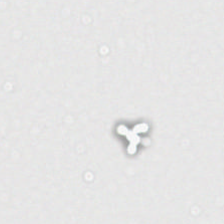224×224 px tile; H&E-stained tissue section — {"content": "background (no tissue)"}
